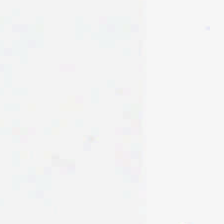20× equivalent magnification; hematoxylin-and-eosin stained section.
Classification: no tissue.
